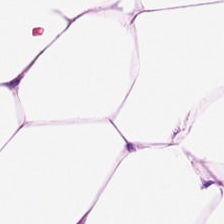H&E — Showing fat tissue.
